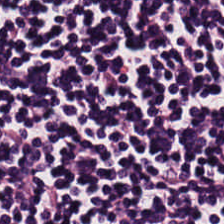Stain: H&E stain.
Tile size: 224×224 px patch.
Tissue class: lymphoid infiltrate.
